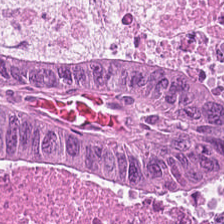Stain: hematoxylin-and-eosin stained section.
Resolution: 0.5 µm/px.
Tissue: tumor epithelium.
